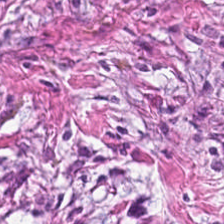H&E-stained tissue section · 0.5 µm/px. Q: What tissue is shown?
A: Tumor stroma.
